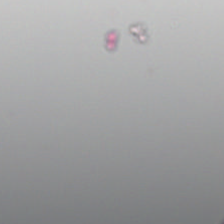0.5 µm per pixel. 224×224 px patch. Hematoxylin and eosin. Background — no tissue in this field.
